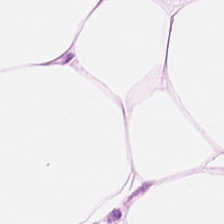Hematoxylin-and-eosin stained section.
Q: What type of tissue is this?
A: This is adipose.
